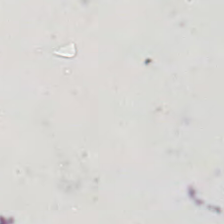H&E-stained tissue section · formalin-fixed paraffin-embedded section — Content = no tissue.
